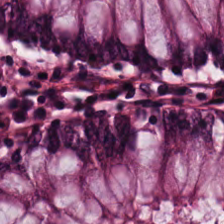Stain: H&E-stained tissue section.
Preparation: FFPE.
Tile size: 224×224 pixel tile.
Classification: benign colonic mucosa.
